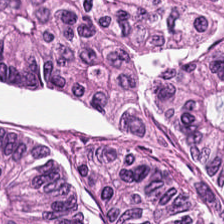H&E-stained tissue section. Showing tumor epithelium.
